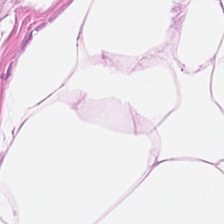H&E stain. 0.5 µm per pixel. FFPE tissue section.
The tissue type is adipocytes.
